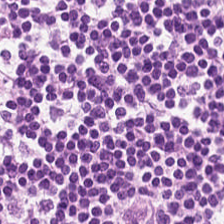Hematoxylin and eosin. Predominantly lymphocytes.
